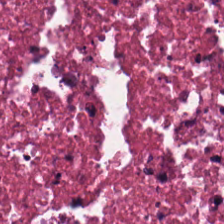Stain: hematoxylin-and-eosin stained section.
Tile size: 224×224 pixel tile.
Tissue: cellular debris.
